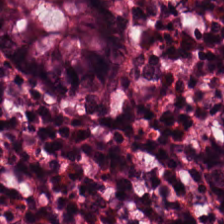Stain: H&E stain.
Tissue type: non-neoplastic colon mucosa.
